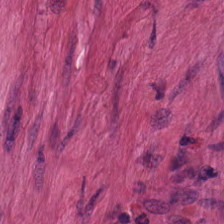H&E stain; 0.5 µm/px — This patch shows smooth-muscle tissue.
